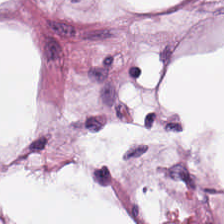Brightfield. H&E-stained tissue section — Q: What tissue is shown?
A: The field shows adipocytes.
